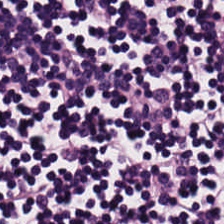Hematoxylin-and-eosin stained section — Lymphocyte aggregate.
